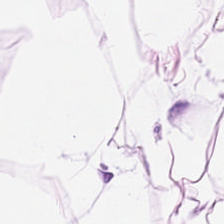H&E stain.
Q: What tissue type is shown here?
A: The field shows adipose.
